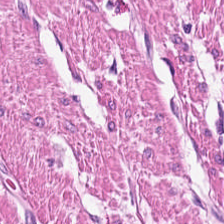H&E stain. The predominant tissue is muscularis.
